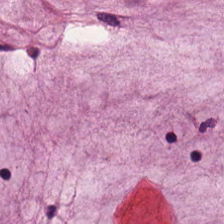Stain: hematoxylin and eosin.
Tissue type: mucus.
